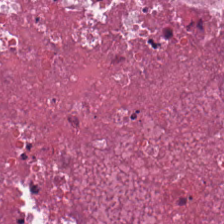FFPE · H&E. Classification = cellular debris.
